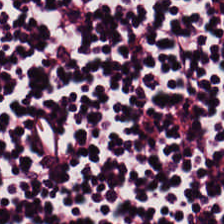Brightfield; hematoxylin-and-eosin stained section.
Predominant tissue = lymphoid infiltrate.
